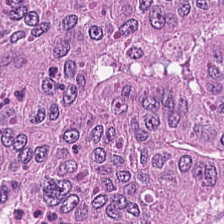H&E. Q: Identify the tissue.
A: This is colorectal adenocarcinoma epithelium.
